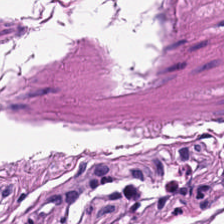H&E stain; FFPE.
Classification — muscularis.
